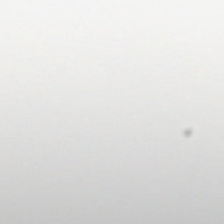No tissue present; background only.
